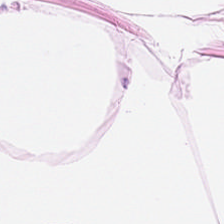224×224 pixel tile; formalin-fixed paraffin-embedded section; H&E-stained tissue section. Tissue: adipocytes.
